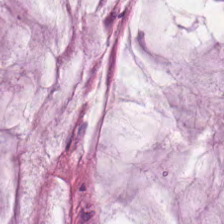Hematoxylin and eosin. The predominant tissue is mucus.
